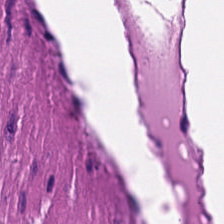WSI patch; H&E-stained tissue section. Predominant tissue: smooth muscle.
